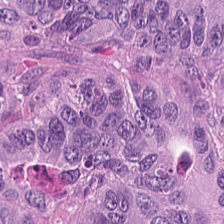Stain: H&E-stained tissue section.
Classification: adenocarcinoma.
